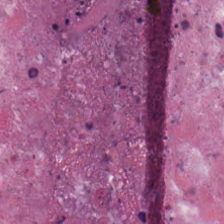Stain: H&E-stained tissue section.
Tissue class: cellular debris.
